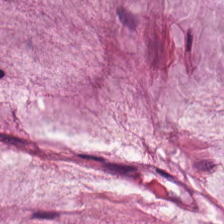Hematoxylin-and-eosin stained section. 0.5 µm per pixel — {"tissue_type": "mucus"}
